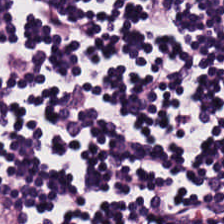H&E stain. Brightfield — Q: What type of tissue is this?
A: Lymphocytic infiltrate.
